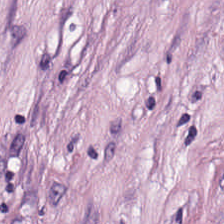Hematoxylin-and-eosin stained section · 0.5 microns per pixel.
Impression → desmoplastic stroma.
